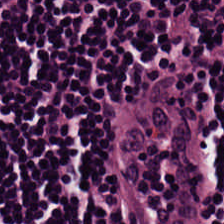H&E.
The predominant tissue is lymphoid infiltrate.
